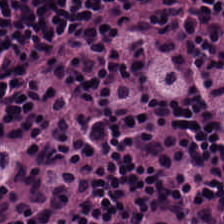Hematoxylin-and-eosin stained section. This field is lymphocyte aggregate.
